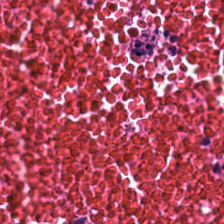Stain: hematoxylin-and-eosin stained section.
Classification: cellular debris.
